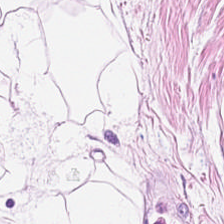Stain: H&E.
Predominant tissue: fat tissue.
